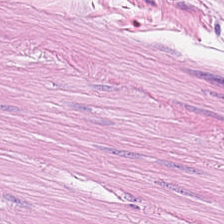Hematoxylin-and-eosin stained section; 0.5 µm/px. Predominantly smooth-muscle tissue.
